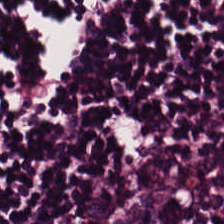H&E stain.
Impression — lymphocytic infiltrate.
